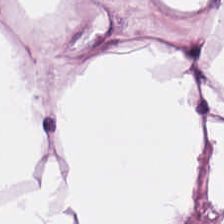Stain: H&E.
Acquisition: brightfield microscopy.
Tissue class: adipose.
